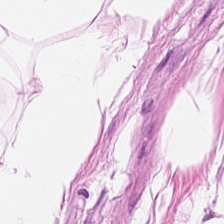Brightfield; H&E.
Predominantly fat tissue.
